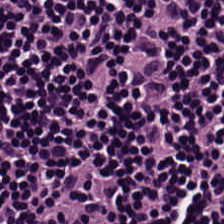224×224 px patch. H&E stain — The tissue here is lymphocytic infiltrate.
